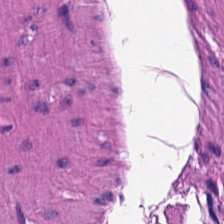H&E. Predominantly muscularis.
